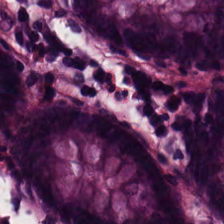224×224 pixel tile; hematoxylin and eosin.
The tissue here is non-neoplastic colon mucosa.
